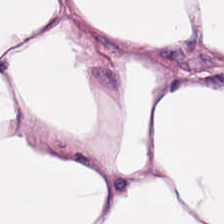224×224 px patch; hematoxylin and eosin; 20× equivalent magnification — Classification: adipose.
